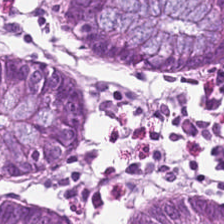H&E-stained section; the field shows normal colonic mucosa.
